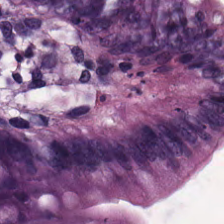H&E-stained section; the field shows normal colon mucosa.
